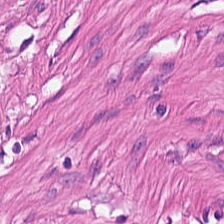Impression → muscularis.
